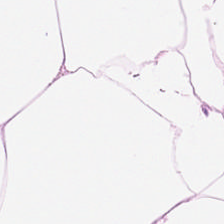H&E · brightfield microscopy. Predominantly adipose.
